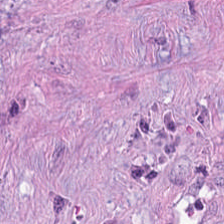H&E — Q: Classify this patch.
A: The field shows tumor stroma.
